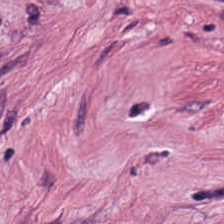Hematoxylin-and-eosin stained section. The tissue here is tumor-associated stroma.
